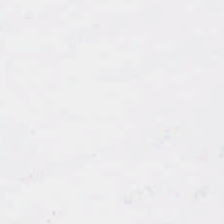H&E stain. Content: background (no tissue).
